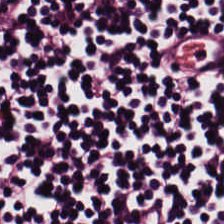0.5 microns per pixel; H&E stain — The predominant tissue is lymphoid infiltrate.
